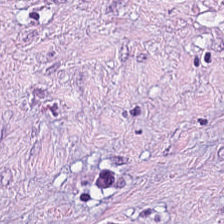Hematoxylin-and-eosin stained section; brightfield; FFPE — Tissue — desmoplastic stroma.
